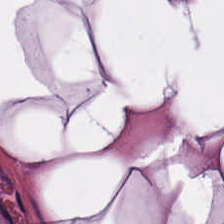Brightfield · hematoxylin-and-eosin stained section · 0.5 microns per pixel. Tissue class — adipose.
